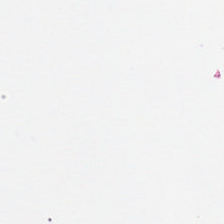0.5 µm/px; H&E stain. No tissue present; background only.
